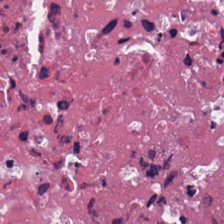H&E. Brightfield microscopy. Impression — debris.
